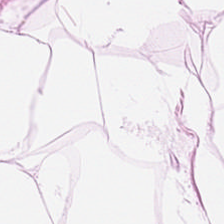Hematoxylin and eosin · 224×224 px patch. Q: What type of tissue is this?
A: It is fat tissue.
